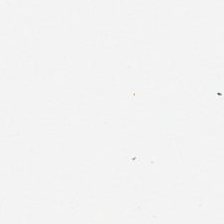Hematoxylin and eosin · brightfield — This field is background (no tissue).
